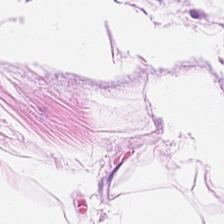H&E-stained tissue section showing adipocytes.
